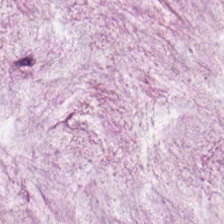Hematoxylin-and-eosin stained section.
Mucin.
